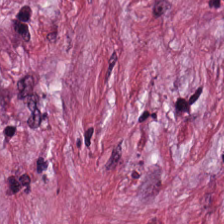224×224 px patch; hematoxylin and eosin.
Predominant tissue — desmoplastic stroma.
